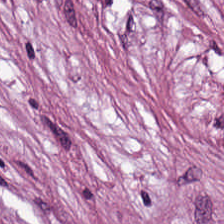Hematoxylin and eosin. Tissue type: cancer-associated stroma.
